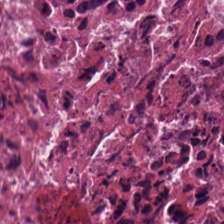FFPE · H&E stain — Predominantly debris.
